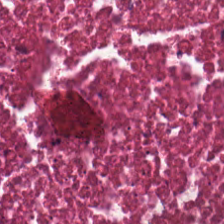Q: What tissue type is shown here?
A: It is debris.
